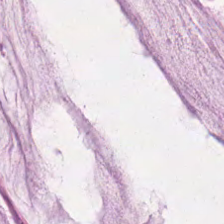The tissue is extracellular mucin.
